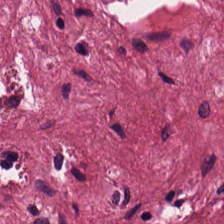Hematoxylin-and-eosin section: tumor stroma.
